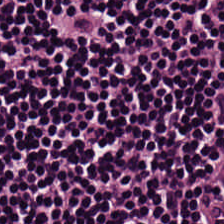Tissue type = lymphocytic infiltrate.
